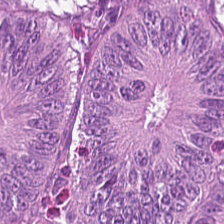H&E stain — Predominantly adenocarcinoma.
